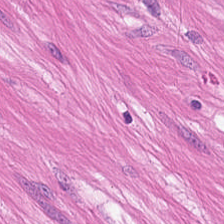Hematoxylin and eosin. 0.5 µm per pixel. Brightfield. Showing smooth-muscle tissue.
